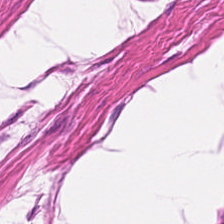H&E-stained tissue section — {"tissue_type": "smooth muscle"}
